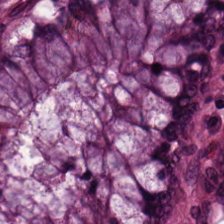Histology → normal colonic mucosa.
